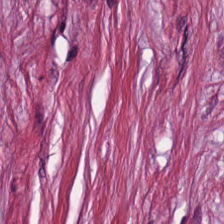0.5 µm/px · H&E-stained tissue section. Tissue = tumor stroma.
